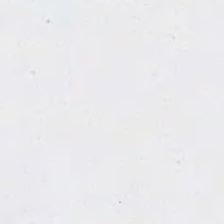Background.
